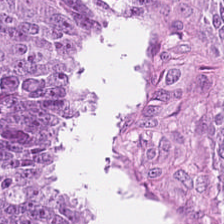Predominantly tumor epithelium.
